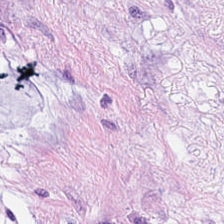H&E-stained tissue section.
The predominant tissue is mucus.
